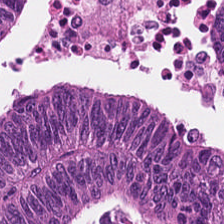224×224 pixel tile; whole-slide-image patch; H&E-stained tissue section. Impression → colorectal adenocarcinoma.
